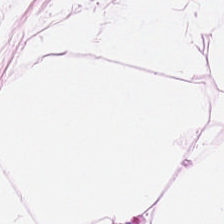Hematoxylin-and-eosin stained section. 0.5 microns per pixel.
Q: Identify the tissue.
A: It is adipocytes.
